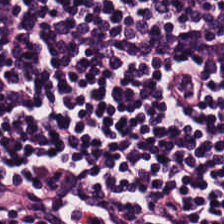H&E.
Q: What does this patch show?
A: It is lymphoid infiltrate.
